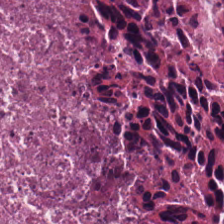H&E-stained tissue section.
The tissue here is necrotic debris.
